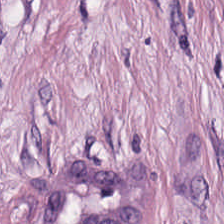H&E stain. 0.5 microns per pixel.
Q: What is the predominant tissue type?
A: This is cancer-associated stroma.
